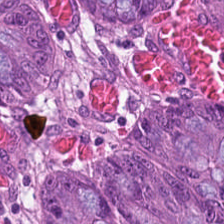Stain: H&E-stained tissue section.
Acquisition: whole-slide-image patch.
Tile size: 224×224 px patch.
Classification: colorectal adenocarcinoma.
